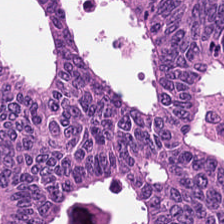Hematoxylin and eosin — {"tissue_type": "tumor epithelium"}
